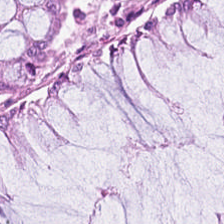224×224 px patch. WSI patch. Hematoxylin-and-eosin stained section.
The predominant tissue is benign colonic mucosa.
